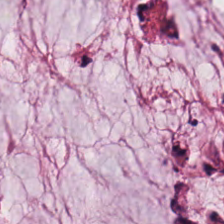H&E — This patch shows mucin.
